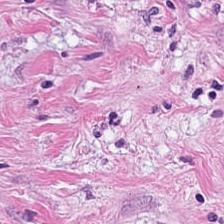Q: What tissue is shown?
A: This is tumor-associated stroma.
